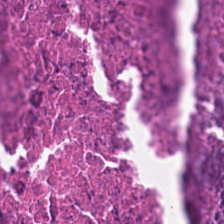0.5 µm/px · formalin-fixed paraffin-embedded section · H&E-stained tissue section — Debris.
